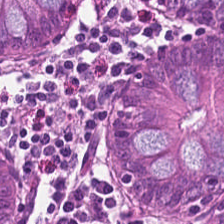H&E-stained tissue section — This field is normal colonic mucosa.
